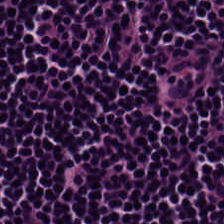Stain: H&E.
Tissue class: lymphocytic infiltrate.
